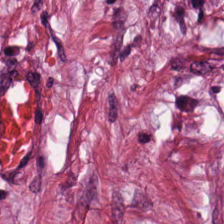Stain: H&E-stained tissue section.
Resolution: 0.5 µm/px.
Acquisition: WSI patch.
Classification: tumor stroma.
